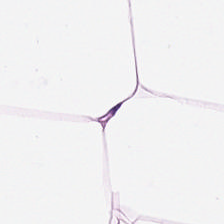This patch shows adipocytes.
